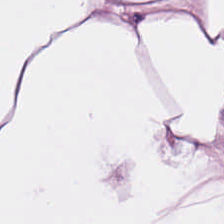224×224 px tile; FFPE tissue section; hematoxylin and eosin.
Tissue type: adipose.
